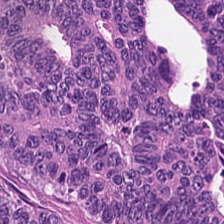Hematoxylin-and-eosin stained section · formalin-fixed paraffin-embedded section — The tissue here is colorectal adenocarcinoma.
